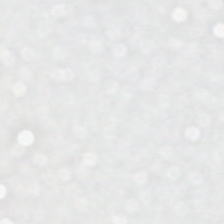Q: What is shown in this field?
A: This is background (no tissue).
